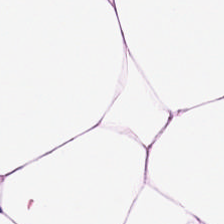Stain: H&E-stained tissue section.
Tissue type: adipose.
